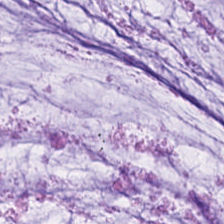Hematoxylin-and-eosin stained section; FFPE tissue section.
Finding → mucus.
